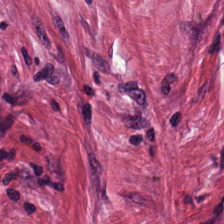Hematoxylin-and-eosin stained section. {"tissue_type": "tumor stroma"}
